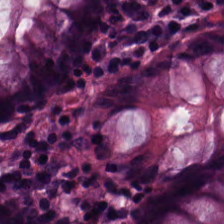Hematoxylin-and-eosin stained section — Q: Identify the tissue.
A: This is normal colon mucosa.
